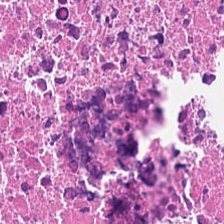Hematoxylin and eosin.
Q: What does this patch show?
A: The field shows debris.
